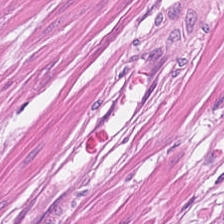H&E-stained tissue section. This patch shows smooth-muscle tissue.
